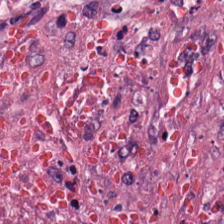Formalin-fixed paraffin-embedded section · H&E stain · WSI patch — Q: What does this patch show?
A: This is cellular debris.
